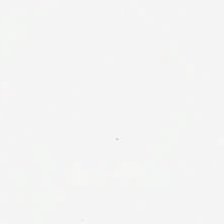H&E stain · 20× equivalent magnification · 224×224 px patch. This patch shows no tissue.
